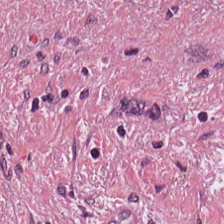H&E-stained tissue section. 0.5 µm/px. WSI patch.
Q: Classify this patch.
A: Tumor stroma.
